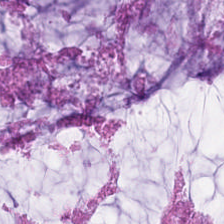The tissue here is mucin.
